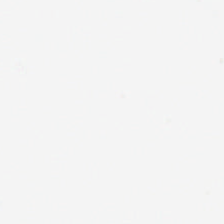H&E. {"content": "background (no tissue)"}
